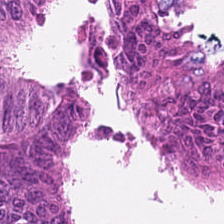H&E-stained tissue section — Q: Identify the tissue.
A: It is tumor epithelium.
